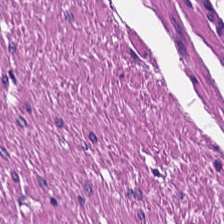224×224 px patch; FFPE tissue section; H&E stain. Predominantly smooth muscle.
